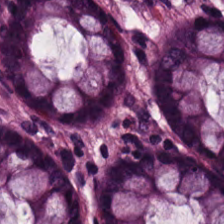H&E-stained tissue section — The predominant tissue is benign colonic mucosa.
